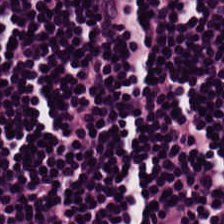H&E — lymphocytic infiltrate.
